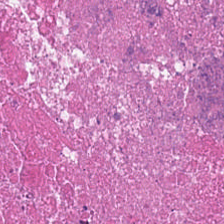Classification = necrotic debris.
